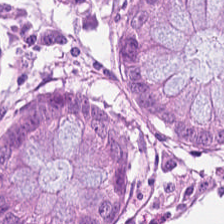Stain: H&E.
Classification: normal colon mucosa.
